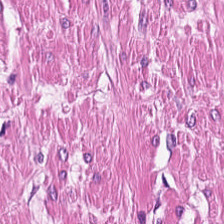Hematoxylin-and-eosin stained section. FFPE — Q: What type of tissue is this?
A: It is smooth muscle.
